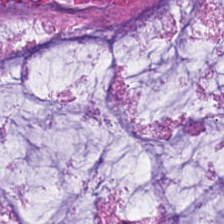20× equivalent magnification · H&E-stained tissue section.
Classification = mucus.
